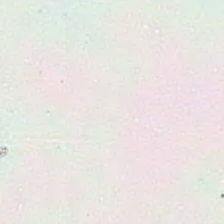{"content": "empty background"}
